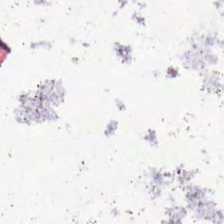Hematoxylin-and-eosin stained section — Histology — no tissue.
